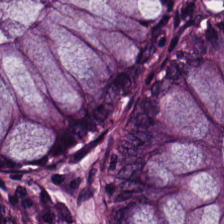Stain: H&E stain.
Tile size: 224×224 px patch.
Preparation: FFPE tissue section.
Classification: normal colon mucosa.
